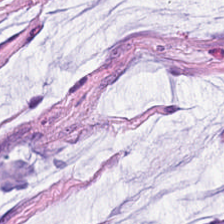FFPE tissue section; H&E stain. Showing mucin.
